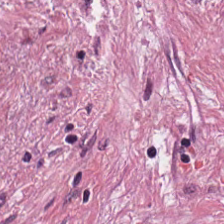Hematoxylin and eosin; FFPE; 224×224 pixel tile. Finding → desmoplastic stroma.
